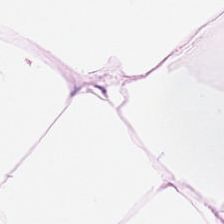Stain: H&E-stained tissue section.
Resolution: 0.5 µm/px.
Preparation: FFPE.
Tissue class: adipose tissue.
